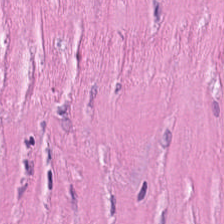{"tissue_type": "tumor stroma"}
